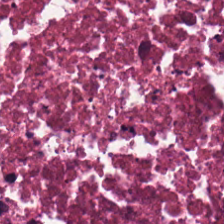Stain: H&E stain.
Tissue type: debris.
